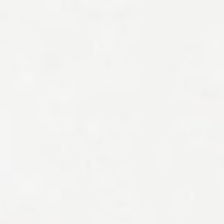Hematoxylin and eosin. Q: Classify this patch.
A: It is empty background.
